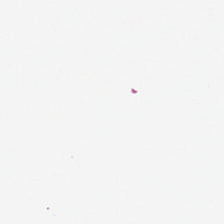Background — no tissue in this field.
